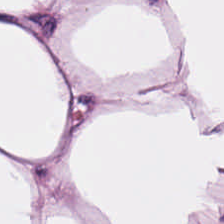Hematoxylin and eosin. Predominant tissue = adipose tissue.
